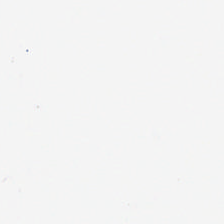H&E-stained tissue section. Q: What is shown in this field?
A: This is empty background.
